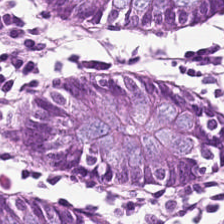Hematoxylin-and-eosin stained section. Predominantly normal colon mucosa.
